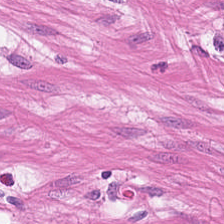0.5 microns per pixel. H&E-stained tissue section.
Predominantly smooth-muscle tissue.
